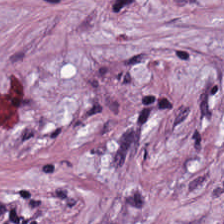Predominant tissue: tumor-associated stroma.
